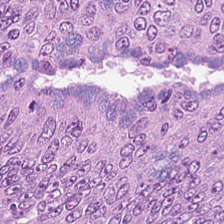224×224 px patch; H&E stain. Tissue type = colorectal adenocarcinoma epithelium.
